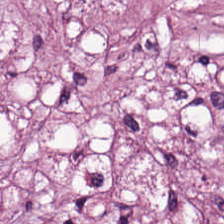H&E stain — The predominant tissue is desmoplastic stroma.
